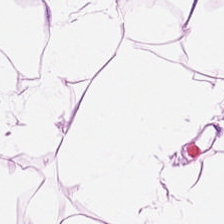Hematoxylin-and-eosin stained section — Q: Identify the tissue.
A: This is adipocytes.
